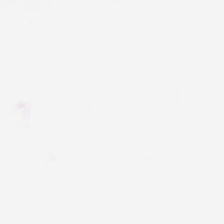H&E stain.
Field content = background.
